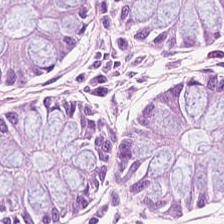0.5 µm/px; H&E stain; brightfield — {"tissue_type": "normal colon mucosa"}
